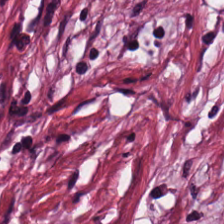Hematoxylin and eosin. FFPE.
Tumor stroma.
